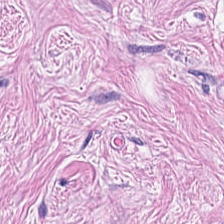H&E stain — Predominantly desmoplastic stroma.
